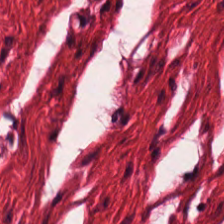H&E — Q: Identify the tissue.
A: The field shows smooth-muscle tissue.
